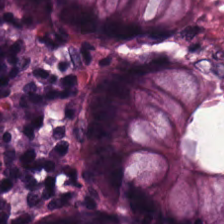0.5 µm/px. H&E-stained tissue section — {"tissue_type": "normal colon mucosa"}
